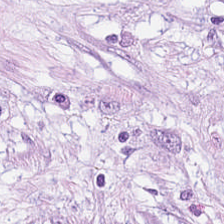Predominant tissue — extracellular mucin.
